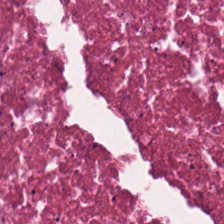224×224 px tile; H&E-stained tissue section.
{"tissue_type": "debris"}
